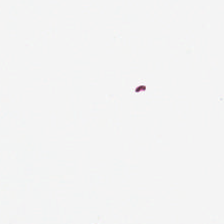224×224 pixel tile · H&E-stained tissue section.
Q: What does this patch show?
A: It is empty background.
